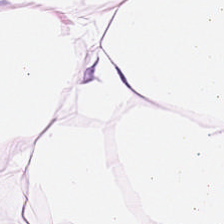Hematoxylin and eosin; 0.5 µm/px — Tissue — adipose.
